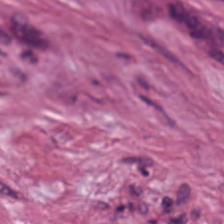H&E-stained tissue section showing desmoplastic stroma.
